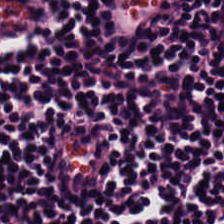Histology → lymphocytic infiltrate.
